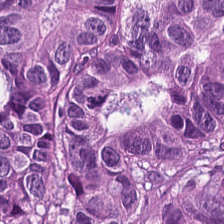224×224 px patch · H&E stain. Predominantly colorectal adenocarcinoma epithelium.
